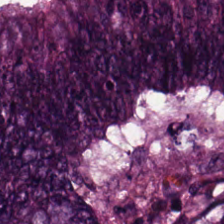Finding → colorectal adenocarcinoma epithelium.
